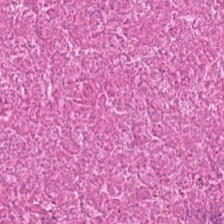Hematoxylin and eosin. Tissue: cellular debris.
